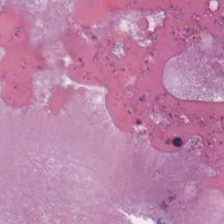H&E. FFPE.
{"tissue_type": "debris"}
